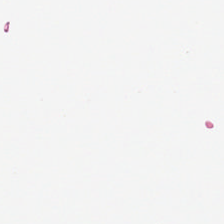Brightfield microscopy. Hematoxylin and eosin. 224×224 px patch.
Empty field — no tissue.
